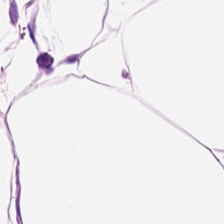Whole-slide-image patch · H&E-stained tissue section.
Histology — adipose tissue.
